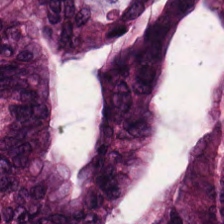H&E-stained tissue section — This field is tumor epithelium.
